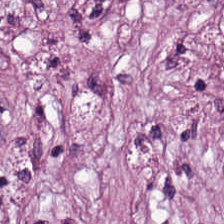Q: Classify this patch.
A: It is desmoplastic stroma.
